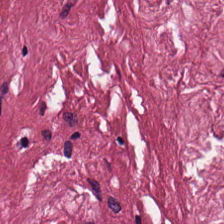Impression — tumor-associated stroma.
